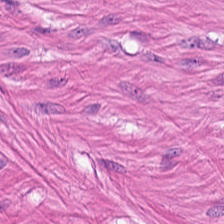Hematoxylin and eosin. 0.5 microns per pixel — Predominant tissue — muscularis.
